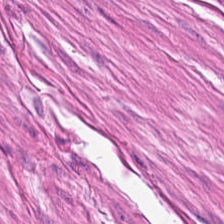Finding — muscularis.
